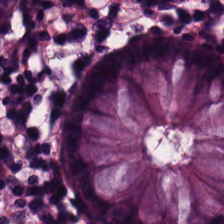H&E stain — Histology → normal colon mucosa.
